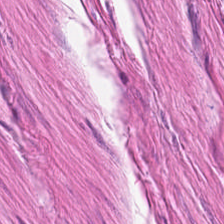Q: What does this patch show?
A: This is smooth-muscle tissue.
